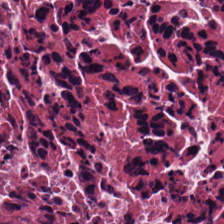H&E — Impression — debris.
